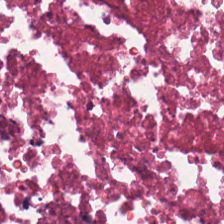Tissue — necrotic debris.
